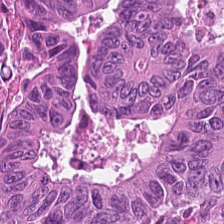Tissue type = adenocarcinoma.
